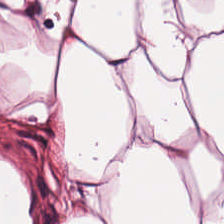H&E stain.
{"tissue_type": "adipose"}
